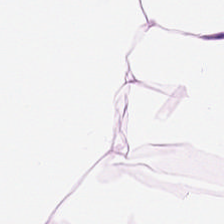224×224 px patch. Hematoxylin-and-eosin stained section.
Q: Classify this patch.
A: This is adipose tissue.
